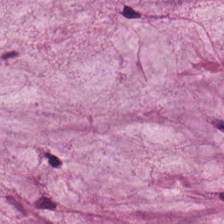H&E stain. The predominant tissue is extracellular mucin.
